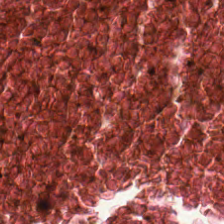FFPE tissue section. Hematoxylin and eosin. Whole-slide-image patch. Finding — debris.
